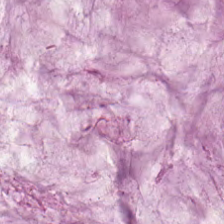Hematoxylin and eosin. This patch shows extracellular mucin.
